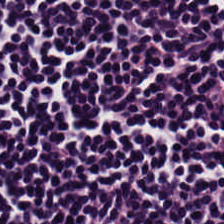H&E stain · 224×224 px tile. Lymphoid infiltrate.
